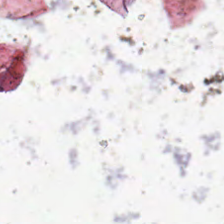Hematoxylin and eosin. Empty field — no tissue.
